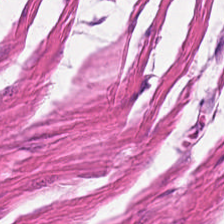H&E-stained tissue section; 0.5 microns per pixel. The tissue here is muscularis.
